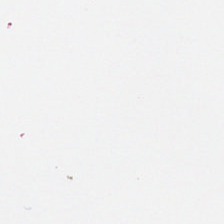Stain: H&E-stained tissue section.
Classification: background (no tissue).
